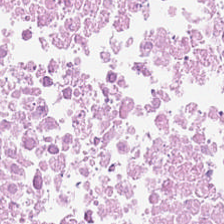Stain: H&E.
Predominant tissue: debris.
